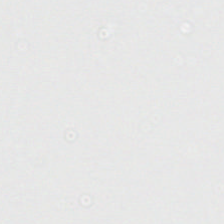Hematoxylin-and-eosin stained section. 224×224 px tile — {"content": "no tissue"}
